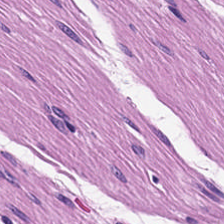Formalin-fixed paraffin-embedded section. H&E stain. This patch shows smooth muscle.
